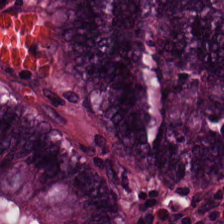This field is normal colon mucosa.
